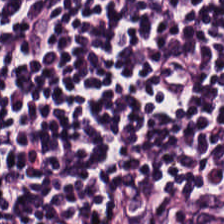Hematoxylin-and-eosin stained section · 224×224 pixel tile · FFPE tissue section.
The tissue here is lymphocytes.
